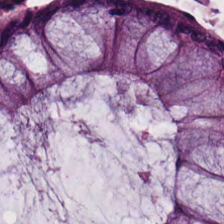{"tissue_type": "benign colonic mucosa"}
